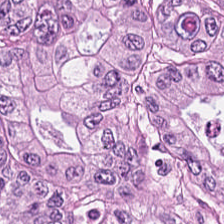224×224 px patch; 20× equivalent magnification; hematoxylin and eosin.
The predominant tissue is adenocarcinoma.
